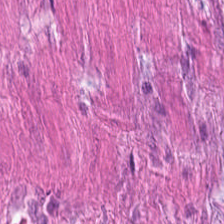H&E stain.
This field is smooth muscle.
